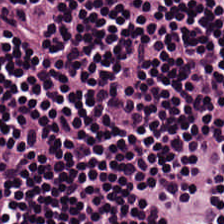H&E-stained tissue section. The predominant tissue is lymphocyte aggregate.
